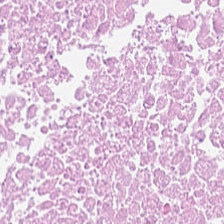Stain: H&E stain.
Resolution: 0.5 µm/px.
Tissue type: debris.
